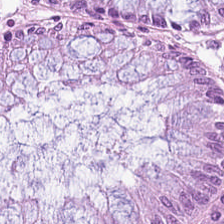Hematoxylin and eosin.
Normal colon mucosa.
